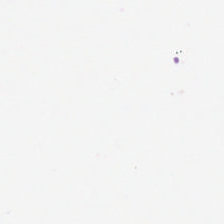H&E-stained tissue section; FFPE tissue section; 0.5 µm per pixel.
The classification is empty background.
